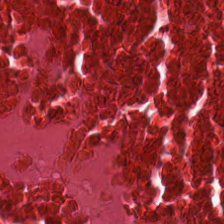Stain: hematoxylin-and-eosin stained section.
Tile size: 224×224 pixel tile.
Tissue: cellular debris.
